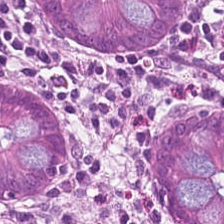H&E-stained tissue section.
Tissue = benign colonic mucosa.
